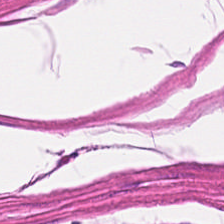H&E. 224×224 px tile.
{"tissue_type": "muscularis"}
